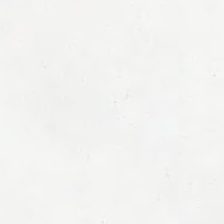Stain: H&E stain.
Resolution: 0.5 microns per pixel.
Content: empty background.
